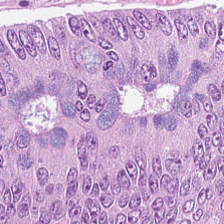{"tissue_type": "colorectal adenocarcinoma"}
